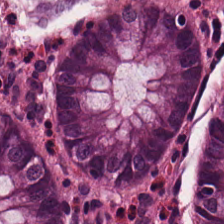H&E-stained tissue section — This field is normal colon mucosa.
